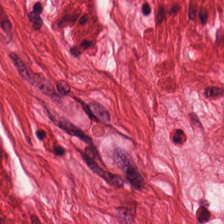H&E. The tissue type is smooth-muscle tissue.
